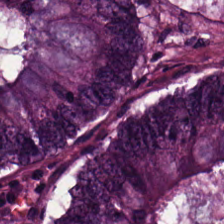FFPE tissue section · H&E-stained tissue section.
Showing colorectal adenocarcinoma.
